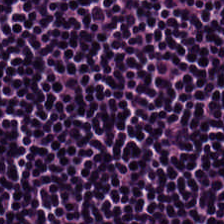Whole-slide-image patch; H&E — Tissue class — lymphocytic infiltrate.
